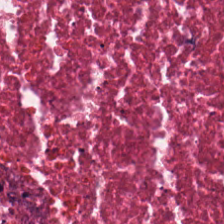Hematoxylin and eosin · FFPE tissue section. Tissue type — cellular debris.
